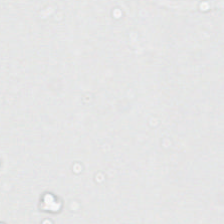Hematoxylin and eosin.
Q: Classify this patch.
A: It is background (no tissue).
